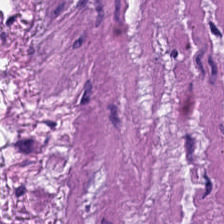Stain: H&E.
Predominant tissue: smooth muscle.
